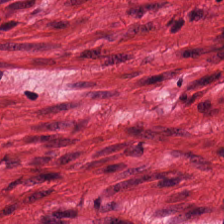Hematoxylin-and-eosin stained section. Tissue class — smooth-muscle tissue.
